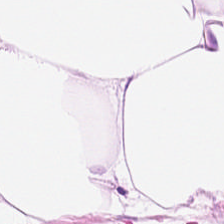H&E stain.
Finding → fat tissue.
